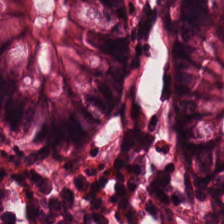H&E stain. The tissue type is non-neoplastic colon mucosa.
